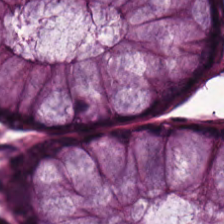Hematoxylin-and-eosin stained section — Showing benign colonic mucosa.
